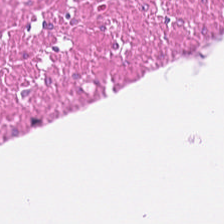Formalin-fixed paraffin-embedded section; H&E-stained tissue section. Predominantly smooth muscle.
